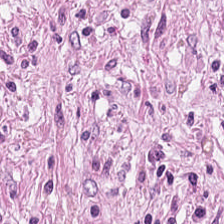Hematoxylin and eosin. Predominant tissue: tumor-associated stroma.
